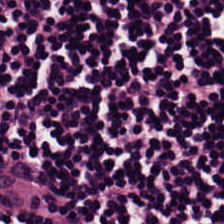H&E — This field is lymphocyte aggregate.
